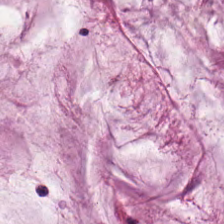Hematoxylin-and-eosin stained section. Brightfield microscopy — Q: What is the predominant tissue type?
A: It is extracellular mucin.
